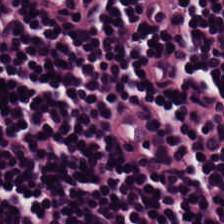Stain: hematoxylin and eosin.
Classification: lymphocyte aggregate.
